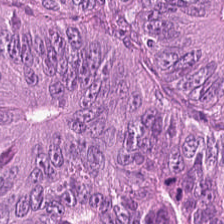H&E stain. Predominant tissue — tumor epithelium.
